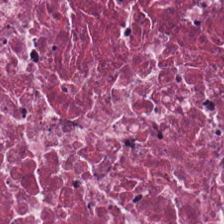Q: What does this patch show?
A: Cellular debris.
